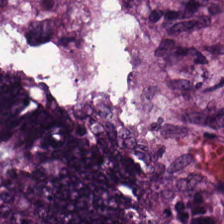20× equivalent magnification; H&E. Q: What is shown here?
A: It is colorectal adenocarcinoma epithelium.
